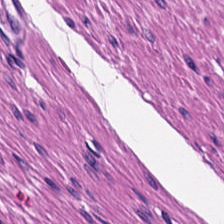Tissue type = muscularis.
